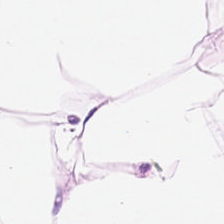FFPE tissue section; hematoxylin and eosin.
Q: What tissue type is shown here?
A: Adipose tissue.
